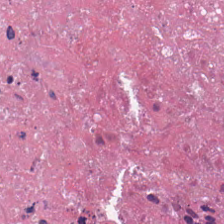Hematoxylin-and-eosin stained section. Q: What is the predominant tissue type?
A: The field shows cellular debris.
